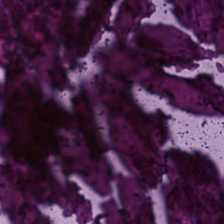H&E stain.
Showing cellular debris.
